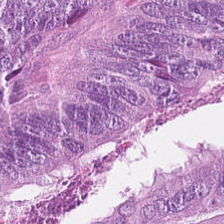WSI patch. H&E stain — Classification — malignant epithelium.
